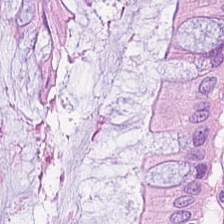0.5 µm per pixel; hematoxylin-and-eosin stained section.
Tissue type: non-neoplastic colon mucosa.
